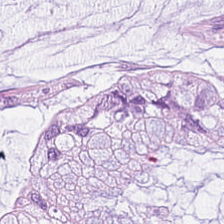Q: What does this patch show?
A: Extracellular mucin.
